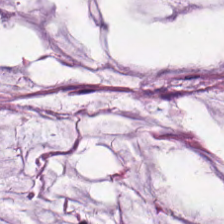224×224 px tile · H&E-stained tissue section · formalin-fixed paraffin-embedded section. Q: What type of tissue is this?
A: It is mucus.
